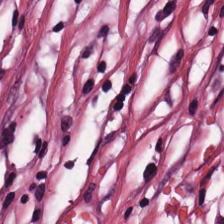H&E stain · 224×224 pixel tile · FFPE tissue section — Tissue type = tumor-associated stroma.
